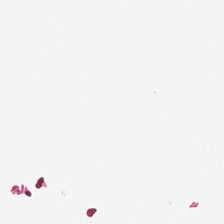H&E. This field is background (no tissue).
